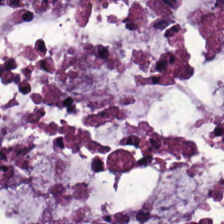H&E. Mucin.
